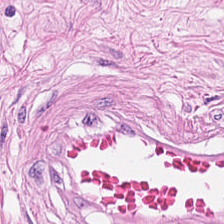Impression → smooth muscle.
